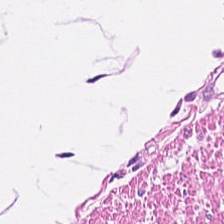Tissue class — muscularis.
